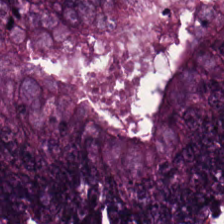Stain: hematoxylin and eosin.
Acquisition: brightfield.
Preparation: formalin-fixed paraffin-embedded section.
Tissue: adenocarcinoma.
